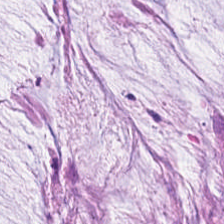Predominant tissue = mucin.
